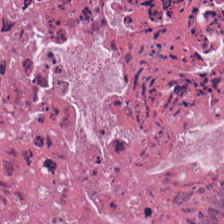H&E-stained tissue section. FFPE tissue section. Tissue class: debris.
